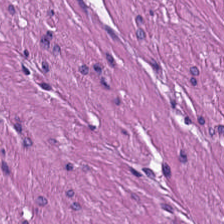Formalin-fixed paraffin-embedded section; H&E stain; brightfield. This field is muscularis.
